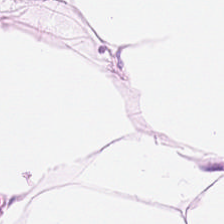H&E. Predominantly adipose tissue.
